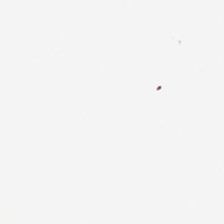H&E — Empty field — background (no tissue).
